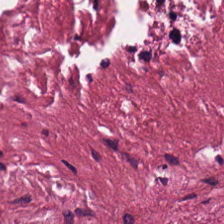Stain: H&E.
Tissue class: tumor stroma.
